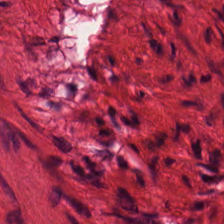H&E stain; brightfield microscopy.
The classification is muscularis.
